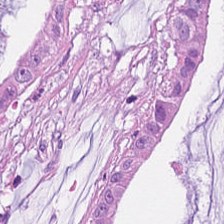0.5 µm/px; H&E-stained tissue section.
This field is extracellular mucin.
